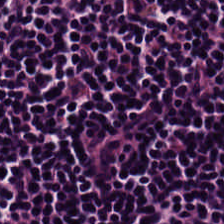H&E stain.
Q: What does this patch show?
A: It is lymphocyte aggregate.
